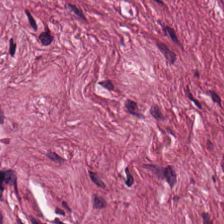FFPE tissue section. H&E-stained tissue section.
The predominant tissue is cancer-associated stroma.
